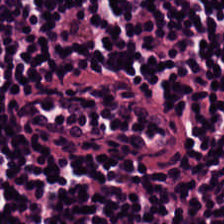Q: Classify this patch.
A: Lymphocyte aggregate.
